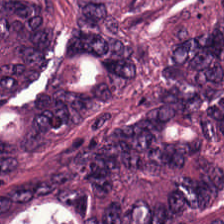Formalin-fixed paraffin-embedded section; 224×224 pixel tile; hematoxylin and eosin. {"tissue_type": "malignant epithelium"}
